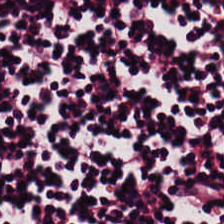Showing lymphoid infiltrate.
